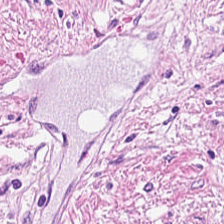Tissue type: tumor-associated stroma.
